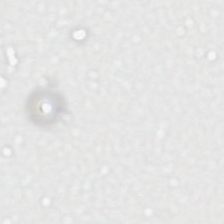Brightfield microscopy; 224×224 px tile; hematoxylin-and-eosin stained section. This field is background (no tissue).
